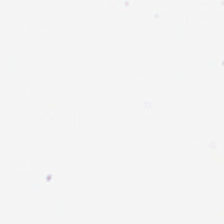Hematoxylin-and-eosin stained section · FFPE tissue section · 0.5 microns per pixel. Empty field — background (no tissue).
